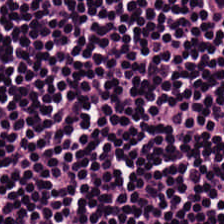Hematoxylin-and-eosin stained section.
Lymphocytic infiltrate.
